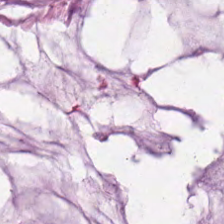Brightfield microscopy · H&E stain. Mucus.
